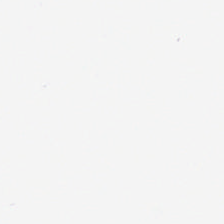0.5 µm/px · hematoxylin-and-eosin stained section.
This patch shows background.
